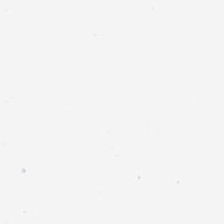Formalin-fixed paraffin-embedded section · H&E-stained tissue section · 224×224 px tile — {"content": "empty background"}
